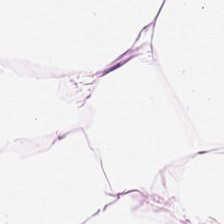Tissue type — fat tissue.
